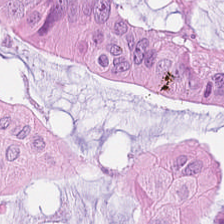H&E stain. 0.5 µm/px.
Showing colorectal adenocarcinoma.
